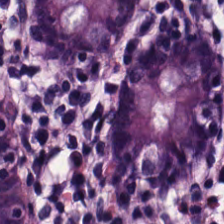H&E stain — Tissue class: normal colonic mucosa.
